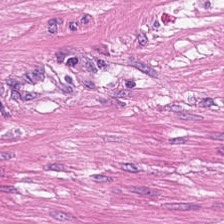H&E stain. This field is smooth muscle.
